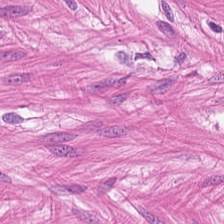Stain: H&E stain.
Predominant tissue: smooth muscle.
